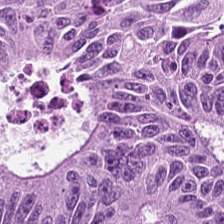Hematoxylin-and-eosin stained section — Q: What is the predominant tissue type?
A: It is colorectal adenocarcinoma epithelium.
